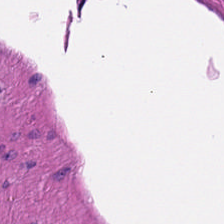{"tissue_type": "smooth-muscle tissue"}
